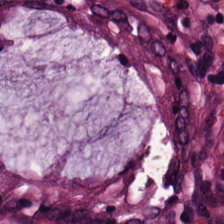Hematoxylin and eosin. Tissue type: benign colonic mucosa.
